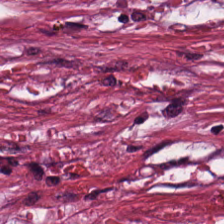H&E.
Classification = desmoplastic stroma.
